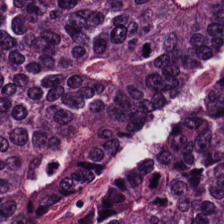Predominantly colorectal adenocarcinoma.
